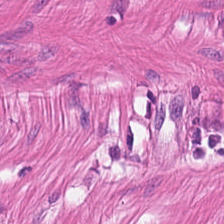H&E stain. The predominant tissue is smooth muscle.
